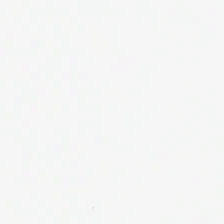Hematoxylin and eosin. Whole-slide-image patch. 0.5 µm/px. Q: What is shown here?
A: It is empty background.
